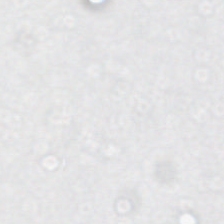{"content": "background (no tissue)"}
